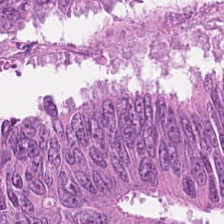Hematoxylin-and-eosin stained section — Adenocarcinoma.
